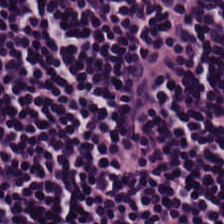224×224 px patch; hematoxylin and eosin; WSI patch. Q: Identify the tissue.
A: Lymphocyte aggregate.
